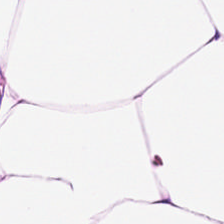H&E stain.
Q: What is the predominant tissue type?
A: The field shows fat tissue.
